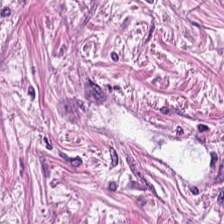Brightfield microscopy; hematoxylin-and-eosin stained section. Q: Identify the tissue.
A: This is desmoplastic stroma.
